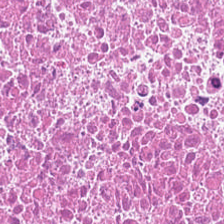Hematoxylin-and-eosin stained section · brightfield. Q: What does this patch show?
A: The field shows cellular debris.
